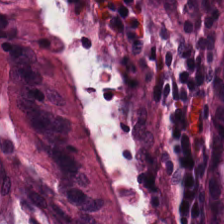Hematoxylin-and-eosin stained section — {"tissue_type": "benign colonic mucosa"}
